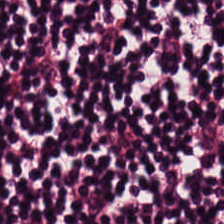Classification: lymphocytes.
